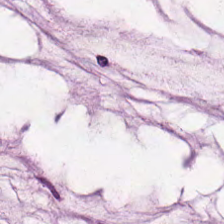Hematoxylin-and-eosin stained section.
Finding — extracellular mucin.
